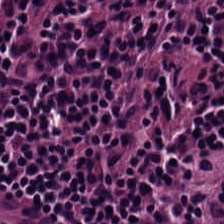The classification is lymphocytic infiltrate.
